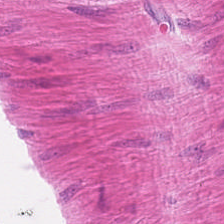H&E-stained tissue section. Brightfield. Formalin-fixed paraffin-embedded section.
Tissue type: muscularis.
